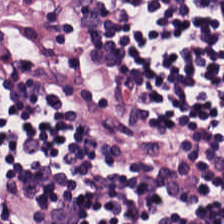Impression → lymphocytes.
